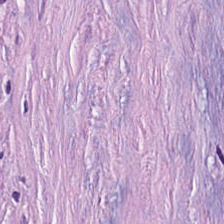Hematoxylin-and-eosin stained section.
Cancer-associated stroma.
